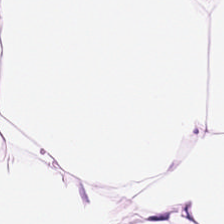Hematoxylin and eosin · formalin-fixed paraffin-embedded section · 224×224 px patch.
Showing fat tissue.
